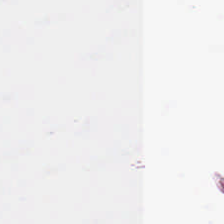H&E-stained tissue section. Impression — empty background.
